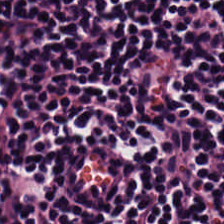Hematoxylin-and-eosin stained section. FFPE tissue section.
Showing lymphocyte aggregate.
